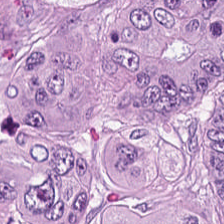0.5 microns per pixel · hematoxylin-and-eosin stained section · whole-slide-image patch.
The classification is tumor epithelium.
